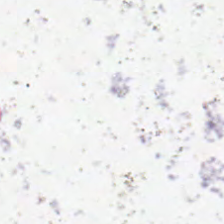H&E; 20× equivalent magnification. {"content": "background (no tissue)"}
